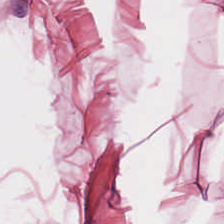Hematoxylin and eosin.
Q: What is shown here?
A: This is adipose tissue.
